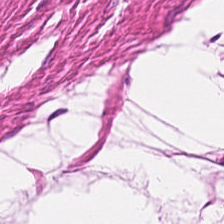Smooth-muscle tissue.
